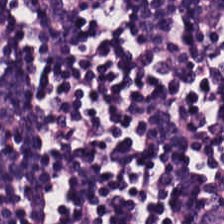224×224 px tile · H&E — Showing lymphoid infiltrate.
